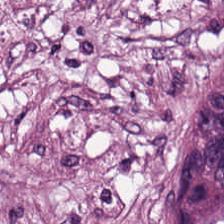Whole-slide-image patch; FFPE tissue section; H&E-stained tissue section.
{"tissue_type": "desmoplastic stroma"}
